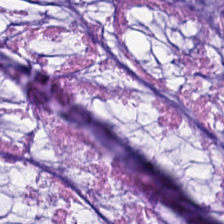H&E.
The predominant tissue is mucin.
